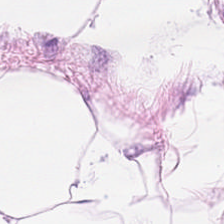H&E; 0.5 microns per pixel — Predominant tissue — adipocytes.
